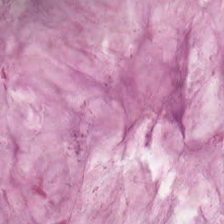This field is extracellular mucin.
